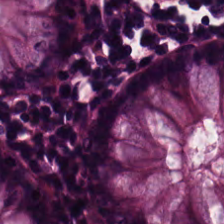Hematoxylin-and-eosin stained section — The predominant tissue is normal colon mucosa.
